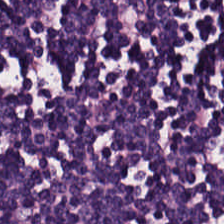Stain: hematoxylin and eosin.
Classification: lymphocytic infiltrate.
